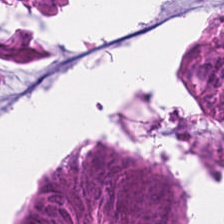FFPE; H&E.
{"tissue_type": "colorectal adenocarcinoma"}
